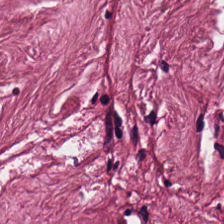Hematoxylin and eosin.
Q: What tissue type is shown here?
A: Desmoplastic stroma.
